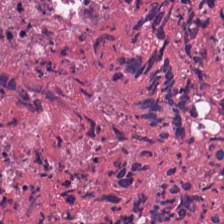Formalin-fixed paraffin-embedded section; hematoxylin-and-eosin stained section. Predominant tissue — necrotic debris.
